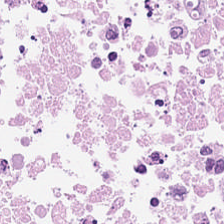FFPE. H&E — Tissue class — debris.
